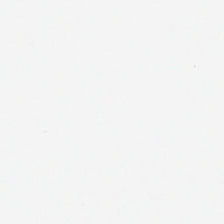Stain: H&E stain.
Field content: background.
